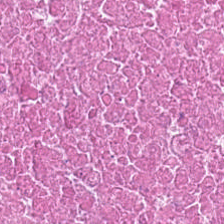H&E stain. Q: What is shown in this field?
A: The field shows debris.
